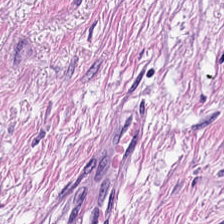Histology → muscularis.
